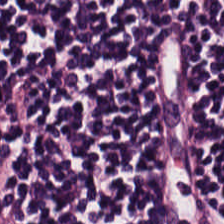0.5 µm/px · H&E stain · 224×224 px tile. Q: Classify this patch.
A: The field shows lymphoid infiltrate.
